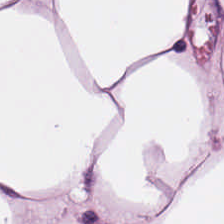Hematoxylin and eosin.
Q: What does this patch show?
A: It is adipose tissue.
